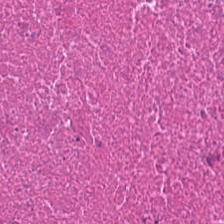H&E-stained tissue section.
Q: What is shown here?
A: It is necrotic debris.
